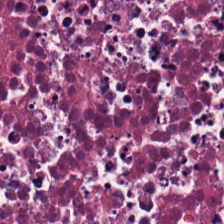H&E stain · 224×224 px tile · WSI patch — Q: Identify the tissue.
A: This is cellular debris.
